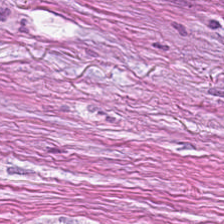The tissue type is desmoplastic stroma.
